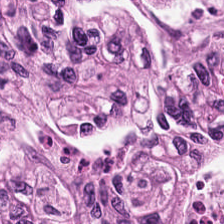H&E.
This patch shows colorectal adenocarcinoma epithelium.
